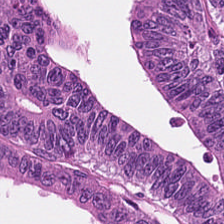Hematoxylin-and-eosin stained section.
Impression → malignant epithelium.
